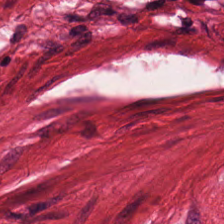Whole-slide-image patch. Formalin-fixed paraffin-embedded section. Hematoxylin-and-eosin stained section — Finding — muscularis.
